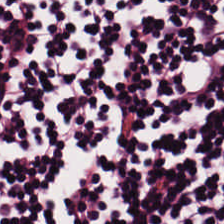H&E — The tissue type is lymphocytes.
